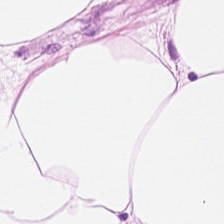224×224 pixel tile. Hematoxylin and eosin.
Predominant tissue: adipose tissue.
